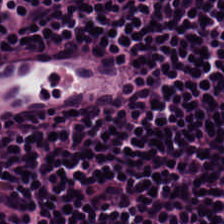Hematoxylin-and-eosin stained section · 224×224 pixel tile. Tissue class: lymphocytic infiltrate.
